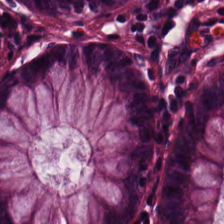H&E stain; FFPE — Histology — non-neoplastic colon mucosa.
